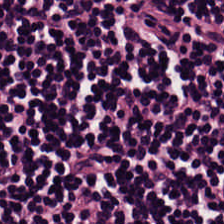The tissue type is lymphocytes.
